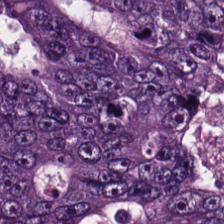Hematoxylin-and-eosin stained section; 20× equivalent magnification.
This field is tumor epithelium.
